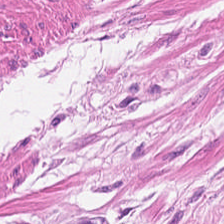Hematoxylin and eosin — Q: What does this patch show?
A: The field shows smooth muscle.
